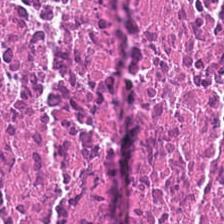224×224 px tile; hematoxylin-and-eosin stained section. Predominant tissue = debris.
